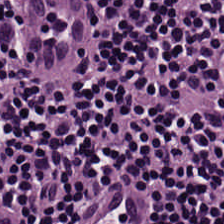0.5 microns per pixel · H&E · WSI patch.
Tissue = lymphocyte aggregate.
